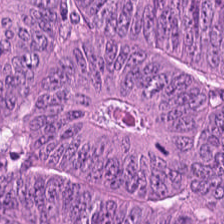Brightfield microscopy; hematoxylin and eosin; FFPE. The predominant tissue is adenocarcinoma.
